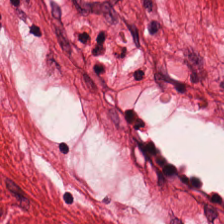Stain: hematoxylin-and-eosin stained section.
Tissue: smooth muscle.
